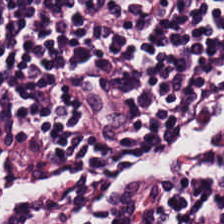H&E stain.
Impression → lymphocytes.
